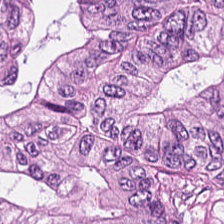Tissue: malignant epithelium.
